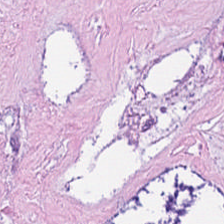Formalin-fixed paraffin-embedded section · H&E-stained tissue section. Predominant tissue = cellular debris.
